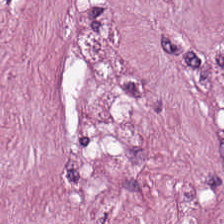H&E stain. Cancer-associated stroma.
